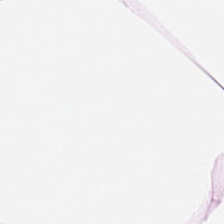H&E · 0.5 µm per pixel.
Adipose.
